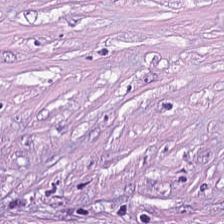Hematoxylin-and-eosin stained section. This field is tumor-associated stroma.
